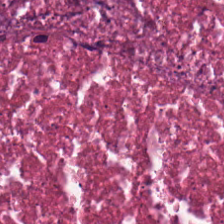20× equivalent magnification. H&E-stained tissue section.
Showing cellular debris.
